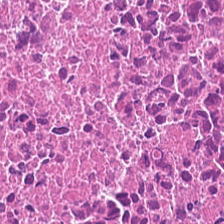Hematoxylin and eosin · 0.5 µm/px. Showing debris.
